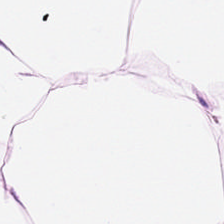Tissue = adipose.
